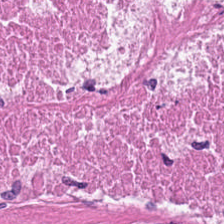The tissue is cellular debris.
